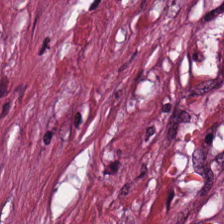H&E-stained tissue section. Q: What does this patch show?
A: Cancer-associated stroma.
